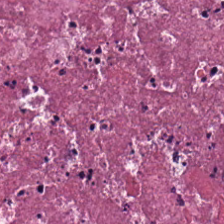H&E-stained tissue section.
This patch shows cellular debris.
